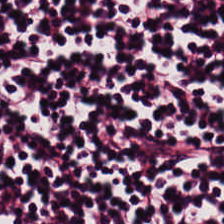H&E-stained tissue section — The predominant tissue is lymphocytes.
